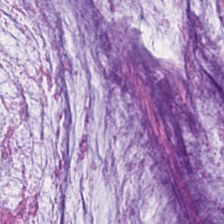Mucus.
